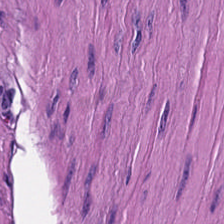Stain: H&E.
Tile size: 224×224 pixel tile.
Resolution: 20× equivalent magnification.
Tissue: smooth muscle.
